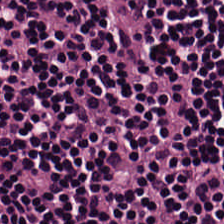224×224 pixel tile; H&E-stained tissue section — Showing lymphocyte aggregate.
